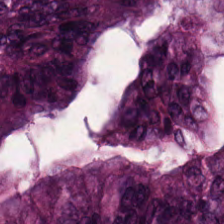Q: What tissue type is shown here?
A: This is adenocarcinoma.
